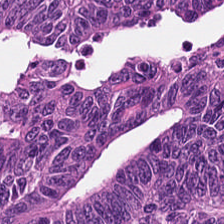H&E-stained tissue section. Finding — colorectal adenocarcinoma.
